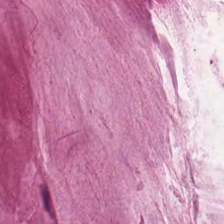H&E stain · 224×224 pixel tile — Tissue = mucin.
